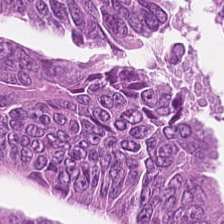Malignant epithelium.
